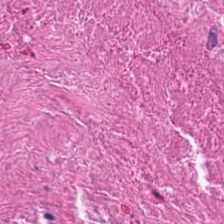Tissue = necrotic debris.
